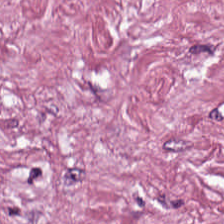H&E · 20× equivalent magnification — This patch shows desmoplastic stroma.
